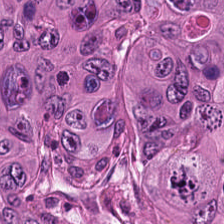H&E stain — Q: What tissue type is shown here?
A: It is adenocarcinoma.
